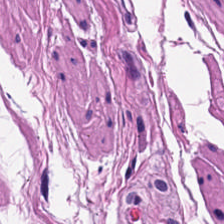Q: Classify this patch.
A: The field shows smooth-muscle tissue.
